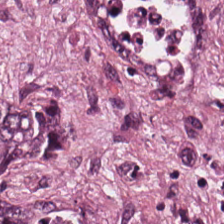Histology → malignant epithelium.
